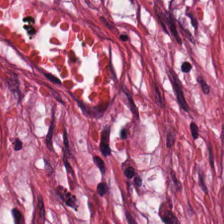H&E-stained tissue section. Tissue — desmoplastic stroma.
